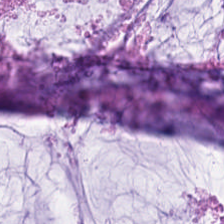Q: What is the predominant tissue type?
A: The field shows mucus.
